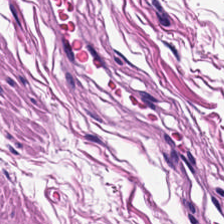Whole-slide-image patch; H&E.
Predominantly smooth muscle.
